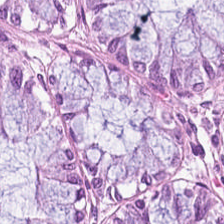Stain: hematoxylin and eosin.
Tile size: 224×224 pixel tile.
Tissue type: non-neoplastic colon mucosa.
